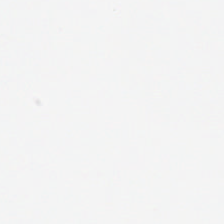H&E. No tissue.
